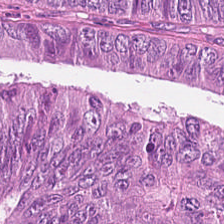Hematoxylin-and-eosin stained section. Finding → adenocarcinoma.
